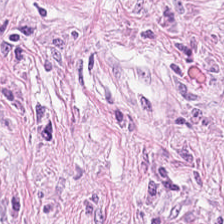H&E — The classification is desmoplastic stroma.
